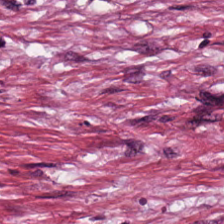WSI patch · 224×224 px tile · hematoxylin and eosin — The tissue type is tumor stroma.
